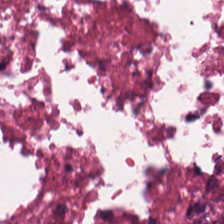Hematoxylin-and-eosin stained section. Tissue class — debris.
